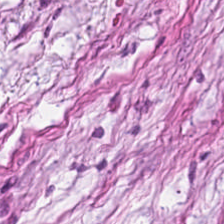224×224 px tile. H&E stain. FFPE tissue section. The predominant tissue is desmoplastic stroma.
